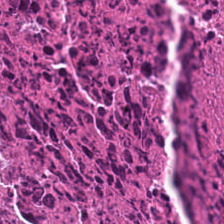Hematoxylin-and-eosin stained section; whole-slide-image patch.
The tissue here is cellular debris.
